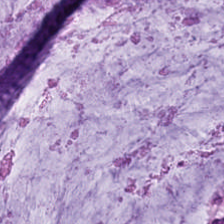H&E — This field is extracellular mucin.
